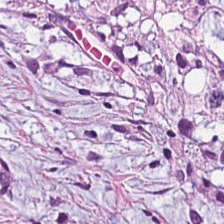Q: What does this patch show?
A: The field shows tumor stroma.
